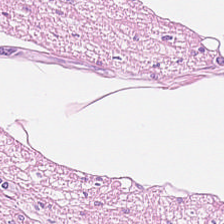H&E-stained tissue section — Finding — smooth-muscle tissue.
